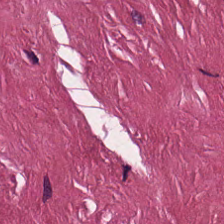H&E stain. Showing cancer-associated stroma.
